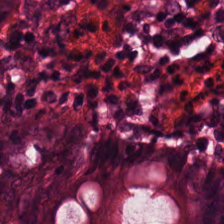H&E stain; 224×224 pixel tile. The tissue class is non-neoplastic colon mucosa.
